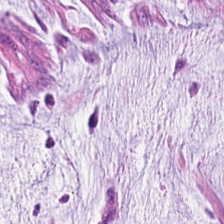Brightfield microscopy · H&E-stained tissue section. The tissue class is mucin.
